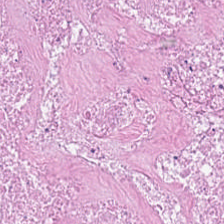Q: Classify this patch.
A: This is debris.
